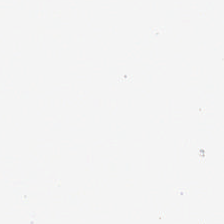Hematoxylin and eosin — Classification = empty background.
